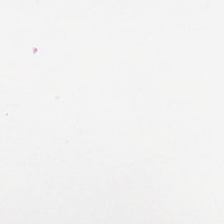H&E-stained tissue section. 224×224 px patch.
Content: empty background.
